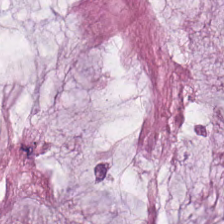224×224 px tile. Hematoxylin-and-eosin stained section. Showing mucus.
